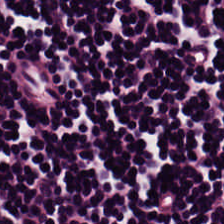Stain: H&E.
Predominant tissue: lymphocytes.
